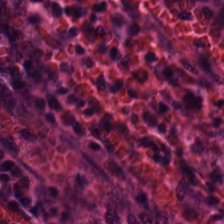H&E stain — Tissue class = non-neoplastic colon mucosa.
